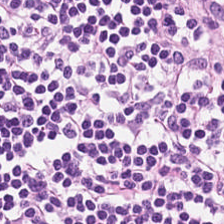Formalin-fixed paraffin-embedded section; H&E-stained tissue section; 224×224 px patch. Predominant tissue: lymphoid infiltrate.
